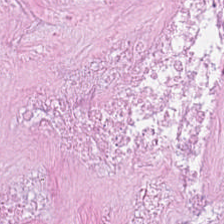Stain: hematoxylin and eosin.
Predominant tissue: cellular debris.
